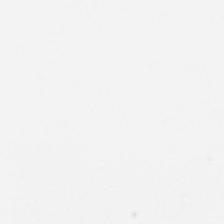This patch shows empty background.
